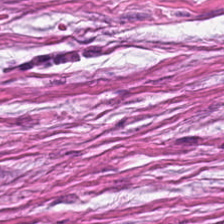0.5 µm/px. Hematoxylin and eosin. Brightfield — Q: What is shown in this field?
A: The field shows tumor stroma.
